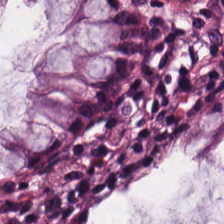H&E-stained tissue section; 0.5 µm/px. Q: What tissue type is shown here?
A: The field shows normal colon mucosa.
